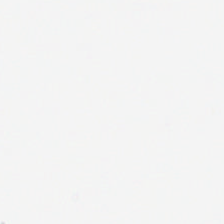H&E — Finding → background (no tissue).
